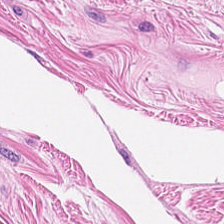Q: What does this patch show?
A: It is smooth-muscle tissue.
